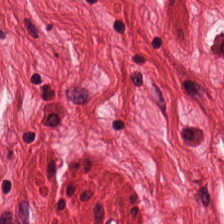Classification: smooth-muscle tissue.
